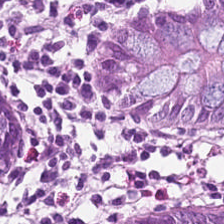20× equivalent magnification; hematoxylin-and-eosin stained section; 224×224 pixel tile. Finding — benign colonic mucosa.
